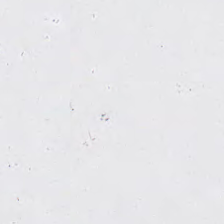The field content is empty background.
